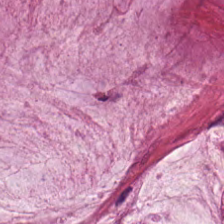H&E-stained tissue section — Tissue = mucin.
